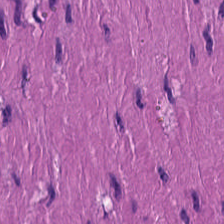Stain: H&E stain.
Tile size: 224×224 pixel tile.
Acquisition: whole-slide-image patch.
Tissue: muscularis.
